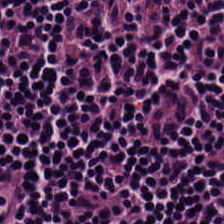H&E — The tissue is lymphocytic infiltrate.
